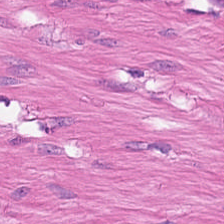H&E-stained tissue section · FFPE tissue section · 0.5 microns per pixel.
Q: Identify the tissue.
A: Smooth muscle.
